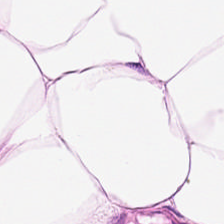H&E · 0.5 µm per pixel.
{"tissue_type": "fat tissue"}
